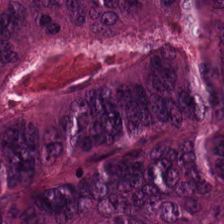H&E. Tissue type: colorectal adenocarcinoma epithelium.
